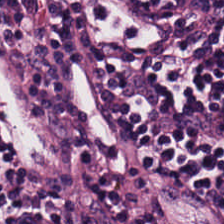Stain: hematoxylin-and-eosin stained section.
Tissue class: lymphoid infiltrate.
